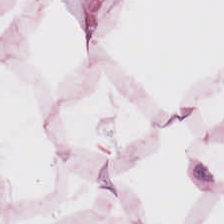Hematoxylin-and-eosin stained section. The predominant tissue is adipocytes.
